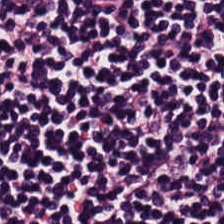Hematoxylin and eosin.
Lymphoid infiltrate.
